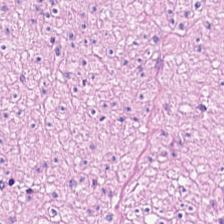This patch shows muscularis.
